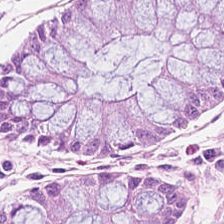Hematoxylin and eosin — Predominantly normal colon mucosa.
